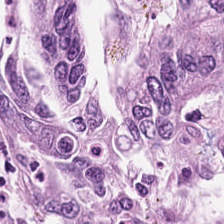Hematoxylin and eosin. FFPE tissue section.
Showing malignant epithelium.
